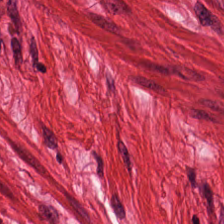Stain: H&E.
Classification: muscularis.
